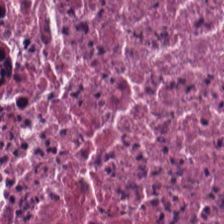Debris.
